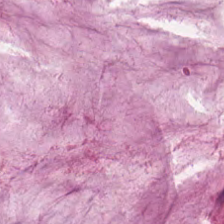H&E stain. 224×224 px tile.
{"tissue_type": "extracellular mucin"}
